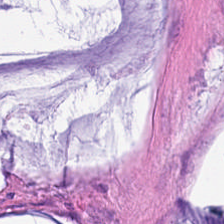Tissue class = extracellular mucin.
